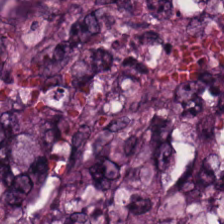FFPE tissue section. H&E stain.
Q: What is shown in this field?
A: It is colorectal adenocarcinoma.
